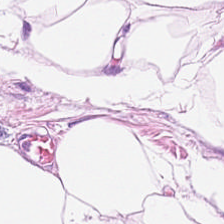Tissue class: adipocytes.
